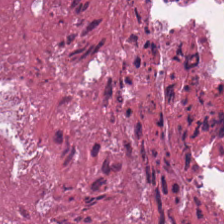H&E-stained tissue section · 224×224 px patch · whole-slide-image patch.
Impression → necrotic debris.
